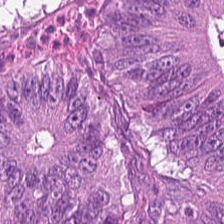Hematoxylin-and-eosin stained section. 0.5 µm/px.
Q: What is the predominant tissue type?
A: Adenocarcinoma.
